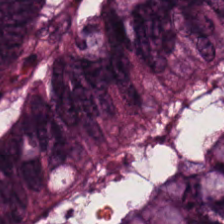H&E. The tissue here is colorectal adenocarcinoma epithelium.
